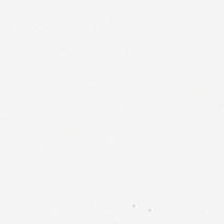20× equivalent magnification. Hematoxylin-and-eosin stained section — Classification — empty background.
